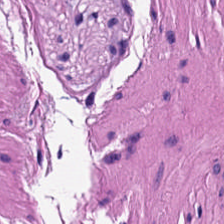224×224 px patch; brightfield; H&E.
Smooth muscle.
